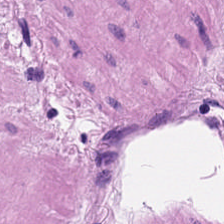0.5 microns per pixel · H&E stain · 224×224 px tile — Tissue type = smooth muscle.
